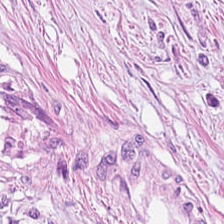Stain: H&E-stained tissue section.
Tissue: tumor-associated stroma.
